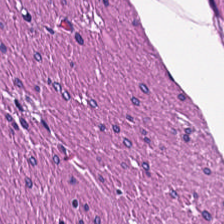H&E stain — Q: Identify the tissue.
A: It is muscularis.
